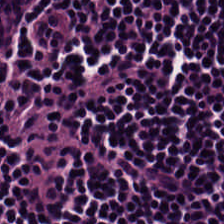Predominant tissue — lymphocytic infiltrate.
